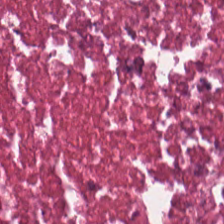Hematoxylin-and-eosin stained section — Impression — cellular debris.
